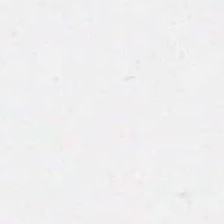Hematoxylin and eosin · 0.5 µm/px · 224×224 px tile. {"content": "background"}
